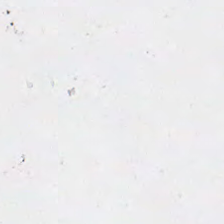Hematoxylin-and-eosin stained section; WSI patch. Background (no tissue).
